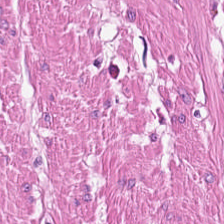The tissue is smooth muscle.
